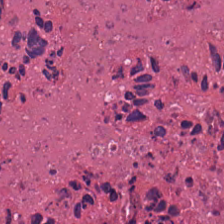H&E-stained tissue section — Showing debris.
